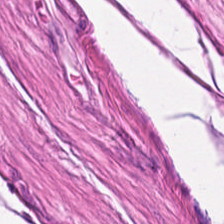H&E. 224×224 pixel tile. 20× equivalent magnification.
{"tissue_type": "muscularis"}
